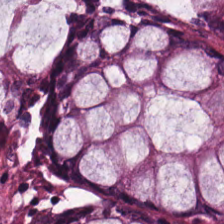Stain: hematoxylin and eosin.
Classification: normal colonic mucosa.
